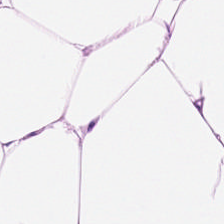H&E-stained tissue section. Tissue class: fat tissue.
